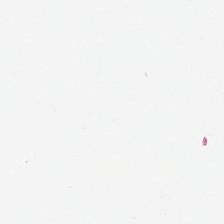The field content is background (no tissue).
